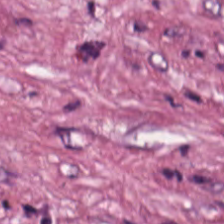Brightfield microscopy. Hematoxylin and eosin — The tissue here is desmoplastic stroma.
